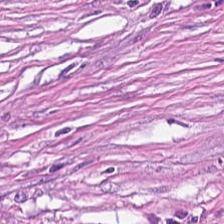H&E-stained tissue section.
Desmoplastic stroma.
